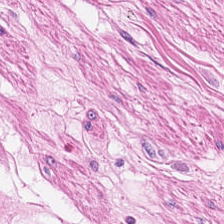Hematoxylin and eosin. Histology → smooth-muscle tissue.
